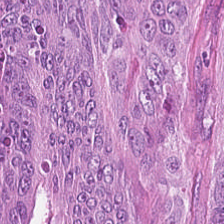H&E patch showing colorectal adenocarcinoma epithelium.
